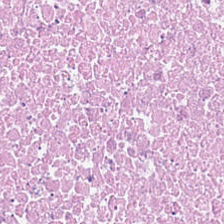H&E stain; 224×224 pixel tile; FFPE tissue section.
Classification — debris.
